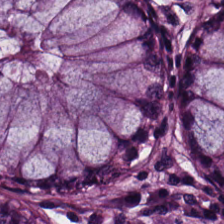Stain: hematoxylin and eosin.
Tissue class: normal colon mucosa.
